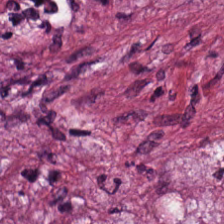H&E.
Q: What tissue type is shown here?
A: It is desmoplastic stroma.
